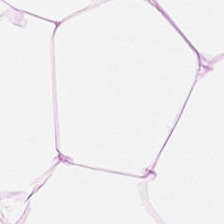H&E. 224×224 pixel tile — This patch shows adipocytes.
